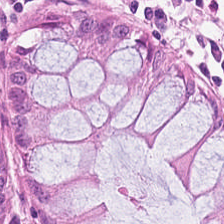Tissue type — normal colonic mucosa.
